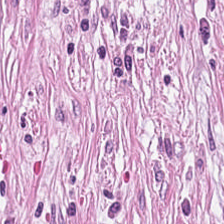0.5 µm/px; hematoxylin-and-eosin stained section; formalin-fixed paraffin-embedded section — The classification is tumor-associated stroma.
